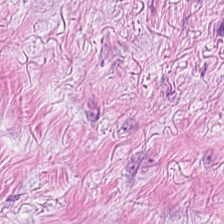Hematoxylin-and-eosin stained section.
Tissue type: tumor-associated stroma.
